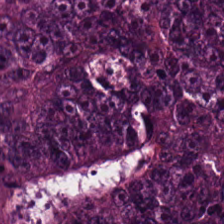H&E-stained tissue section — {"tissue_type": "adenocarcinoma"}
